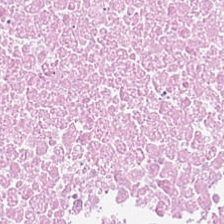Finding — cellular debris.
